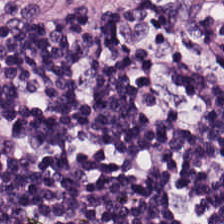The classification is lymphoid infiltrate.
